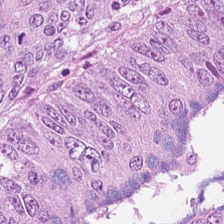Stain: H&E.
Predominant tissue: colorectal adenocarcinoma epithelium.
